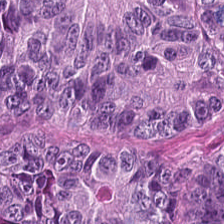Stain: hematoxylin-and-eosin stained section.
Predominant tissue: adenocarcinoma.
